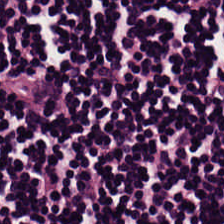Tissue: lymphocytes.
